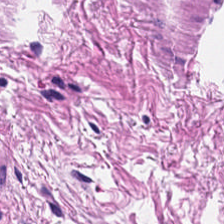H&E-stained tissue section — Q: What does this patch show?
A: It is smooth muscle.
